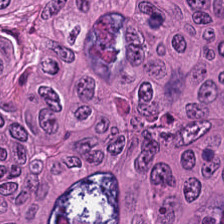Tissue class = tumor epithelium.
